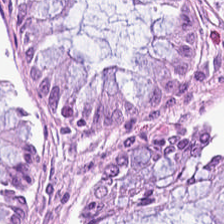Q: What tissue type is shown here?
A: This is normal colon mucosa.
